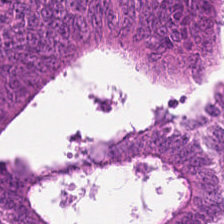H&E-stained tissue section — The tissue here is malignant epithelium.
